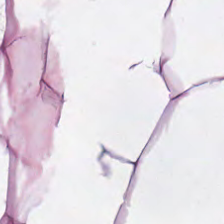Stain: hematoxylin-and-eosin stained section.
Tissue: adipocytes.
